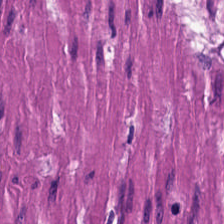Hematoxylin and eosin — Tissue type = smooth muscle.
